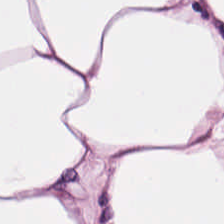Hematoxylin-and-eosin stained section. The predominant tissue is adipose.
